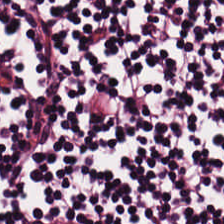Hematoxylin and eosin.
Lymphocytic infiltrate.
